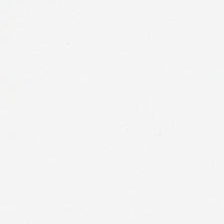0.5 µm/px · H&E-stained tissue section · WSI patch.
No tissue.
